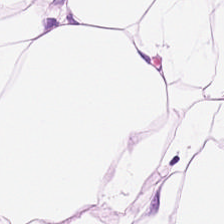Stain: hematoxylin and eosin.
Classification: fat tissue.
